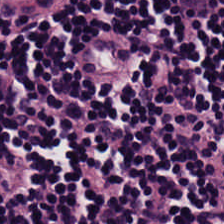H&E-stained tissue section showing lymphocyte aggregate.
